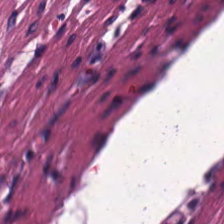Hematoxylin and eosin · 224×224 pixel tile — Showing smooth-muscle tissue.
